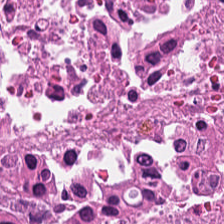WSI patch. FFPE. H&E stain. This field is cellular debris.
